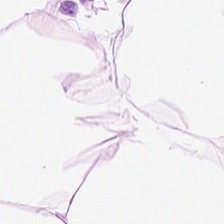FFPE tissue section · hematoxylin-and-eosin stained section.
Showing adipose.
